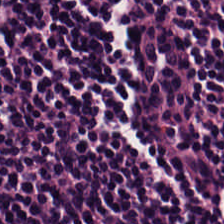H&E.
The tissue type is lymphocyte aggregate.
